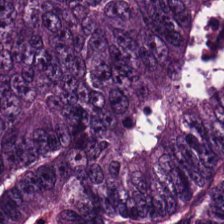This field is malignant epithelium.
